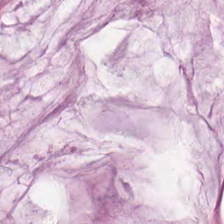This field is mucin.
